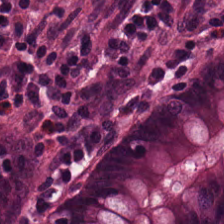H&E-stained tissue section. FFPE tissue section.
This field is normal colon mucosa.
